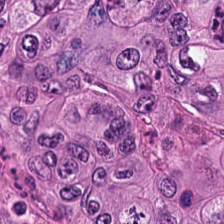This field is colorectal adenocarcinoma.
